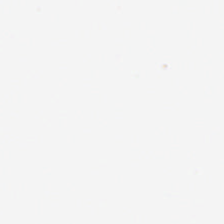H&E. This field is background (no tissue).
